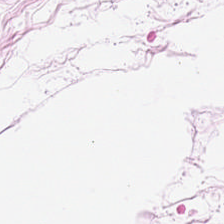224×224 px patch. H&E stain. This field is adipose tissue.
